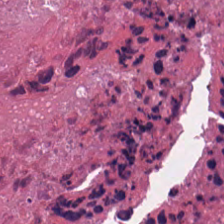H&E-stained tissue section showing necrotic debris.
